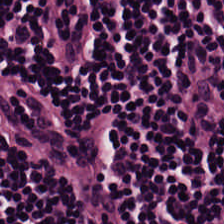Hematoxylin and eosin — Tissue type: lymphoid infiltrate.
